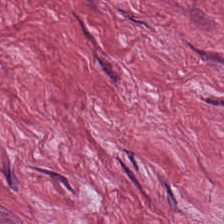0.5 microns per pixel; 224×224 pixel tile; H&E-stained tissue section — Tissue type = tumor-associated stroma.
